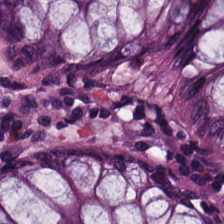H&E stain.
Q: What type of tissue is this?
A: It is normal colonic mucosa.
